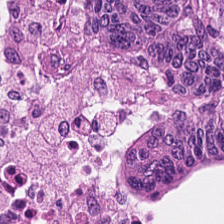Hematoxylin and eosin.
Histology — adenocarcinoma.
